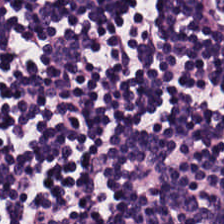Brightfield · FFPE tissue section · H&E. Tissue type = lymphoid infiltrate.
